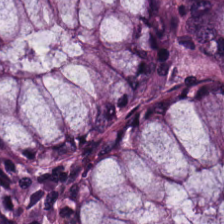H&E-stained tissue section — The predominant tissue is normal colon mucosa.
